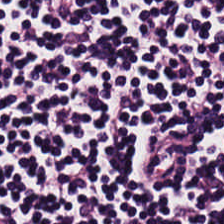H&E stain — Predominant tissue — lymphocyte aggregate.
